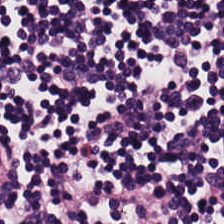Brightfield. H&E. 224×224 px patch.
Impression → lymphoid infiltrate.
